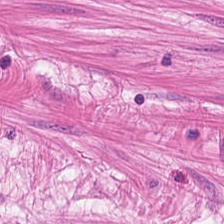Stain: H&E-stained tissue section.
Predominant tissue: muscularis.
